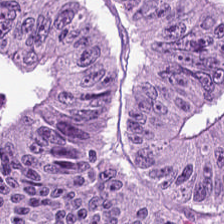The predominant tissue is malignant epithelium.
